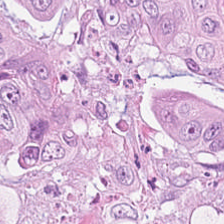0.5 µm/px · hematoxylin-and-eosin stained section — Classification = colorectal adenocarcinoma epithelium.
